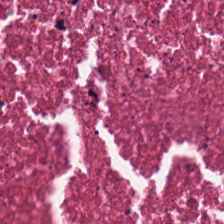The predominant tissue is necrotic debris.
